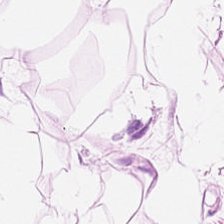Hematoxylin-and-eosin stained section; 224×224 px patch. Q: What is shown here?
A: This is fat tissue.
